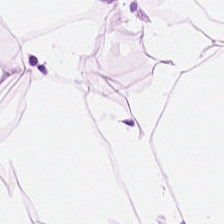The tissue here is adipocytes.
